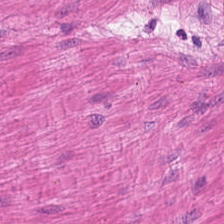Q: Classify this patch.
A: The field shows smooth muscle.
